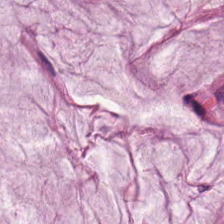Stain: hematoxylin-and-eosin stained section.
Acquisition: brightfield.
Predominant tissue: mucus.
